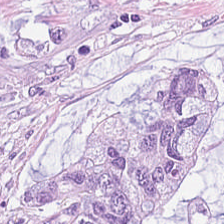224×224 px patch; H&E-stained tissue section — Impression → mucin.
